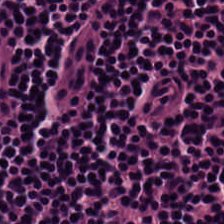224×224 pixel tile · hematoxylin-and-eosin stained section — Tissue — lymphocyte aggregate.
